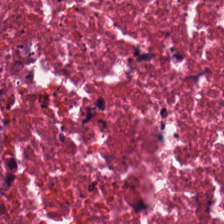H&E-stained tissue section. Predominant tissue: necrotic debris.
